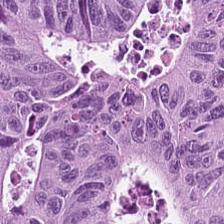Hematoxylin and eosin. 0.5 µm per pixel. FFPE. Q: What is shown here?
A: It is colorectal adenocarcinoma epithelium.
